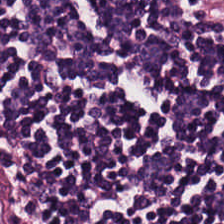H&E-stained tissue section · WSI patch — {"tissue_type": "lymphocytic infiltrate"}
